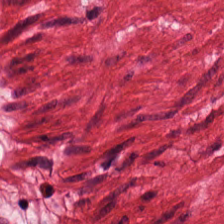Tissue class — smooth-muscle tissue.
